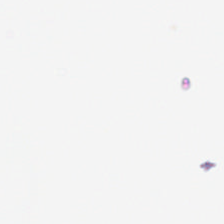H&E stain.
Field content = background (no tissue).
